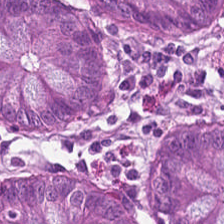H&E-stained tissue section showing benign colonic mucosa.
